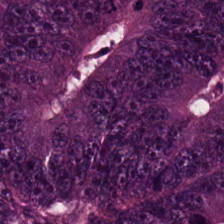Q: What is shown here?
A: The field shows tumor epithelium.
